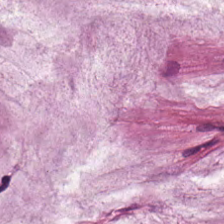{"tissue_type": "mucin"}
